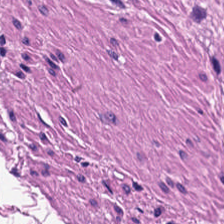Predominant tissue: muscularis.
